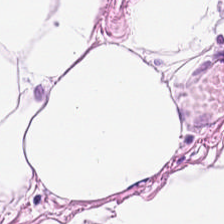H&E stain.
Adipose tissue.
